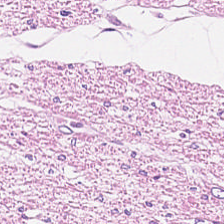Hematoxylin and eosin. 224×224 px tile.
Predominantly muscularis.
